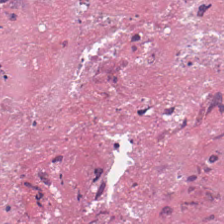Hematoxylin and eosin · 0.5 µm/px. The predominant tissue is necrotic debris.
